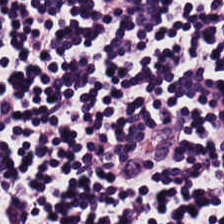Hematoxylin-and-eosin section: lymphocytes.
